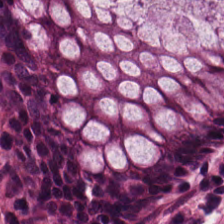H&E stain — This field is normal colonic mucosa.
